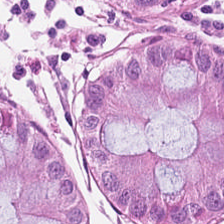Hematoxylin and eosin. Tissue: benign colonic mucosa.
